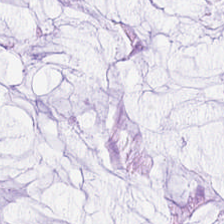Hematoxylin-and-eosin stained section — This field is mucus.
